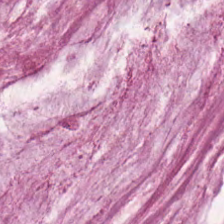H&E stain · formalin-fixed paraffin-embedded section — Mucus.
